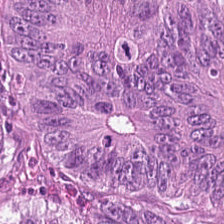Hematoxylin-and-eosin stained section — Q: What tissue is shown?
A: This is colorectal adenocarcinoma.
